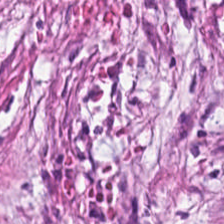Hematoxylin and eosin — Tissue — cancer-associated stroma.
